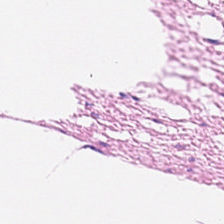H&E stain.
The tissue type is muscularis.
